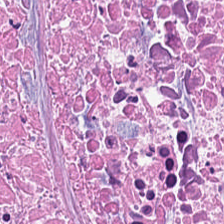Stain: hematoxylin-and-eosin stained section.
Resolution: 0.5 microns per pixel.
Preparation: formalin-fixed paraffin-embedded section.
Tissue: debris.
